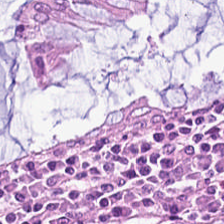Hematoxylin-and-eosin stained section.
Q: What is shown in this field?
A: Non-neoplastic colon mucosa.
